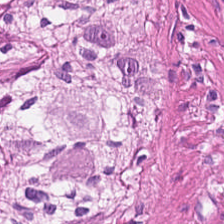H&E-stained tissue section — Predominantly smooth-muscle tissue.
